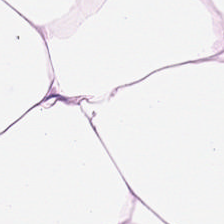Q: What does this patch show?
A: The field shows adipocytes.
